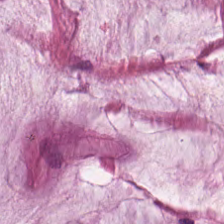Hematoxylin-and-eosin stained section · 224×224 px tile · FFPE tissue section — Extracellular mucin.
